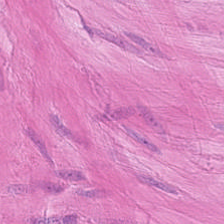Stain: H&E.
Resolution: 0.5 microns per pixel.
Tissue: smooth-muscle tissue.
